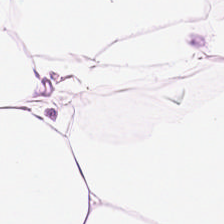H&E. Brightfield.
The tissue here is adipocytes.
